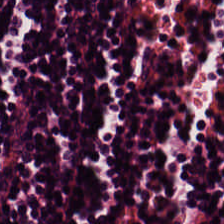H&E; 224×224 pixel tile — Tissue class: lymphocytes.
